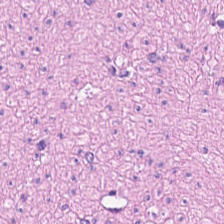Hematoxylin and eosin. Tissue = muscularis.
